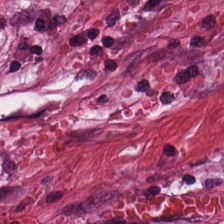H&E stain.
The predominant tissue is desmoplastic stroma.
